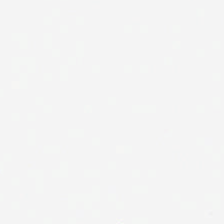H&E-stained tissue section — Impression → background.
